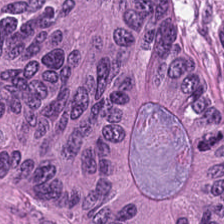H&E stain.
The predominant tissue is adenocarcinoma.
